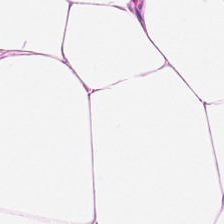Hematoxylin and eosin.
The tissue type is fat tissue.
